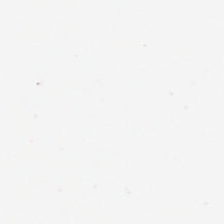This field is background (no tissue).
